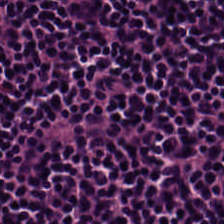Hematoxylin and eosin. The tissue is lymphocytic infiltrate.
